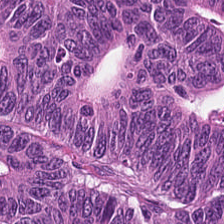This patch shows colorectal adenocarcinoma epithelium.
